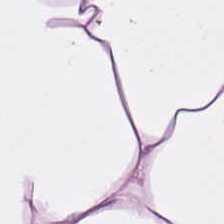Tissue class = adipose tissue.
